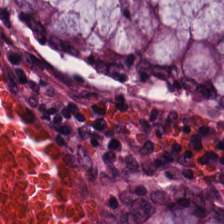H&E stain — Showing normal colonic mucosa.
